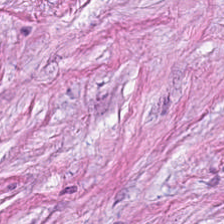Hematoxylin and eosin. {"tissue_type": "desmoplastic stroma"}
